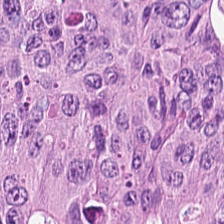Hematoxylin and eosin.
Histology — colorectal adenocarcinoma.
